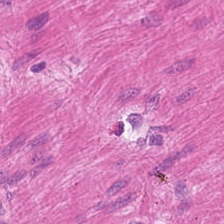224×224 pixel tile · hematoxylin and eosin. Q: Identify the tissue.
A: Muscularis.
